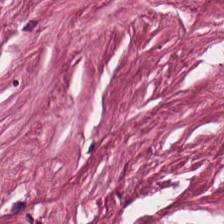H&E — Q: What is the predominant tissue type?
A: The field shows tumor stroma.
